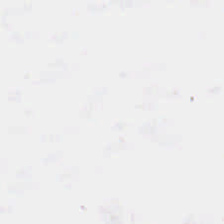{"content": "background (no tissue)"}
